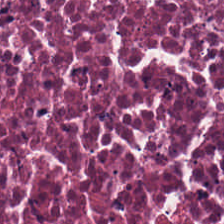H&E. Q: What tissue is shown?
A: This is necrotic debris.
